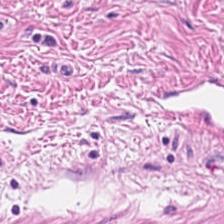H&E stain · whole-slide-image patch.
This patch shows smooth-muscle tissue.
